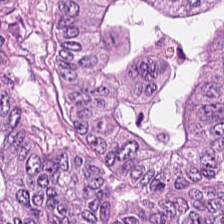20× equivalent magnification; H&E-stained tissue section. Classification = tumor epithelium.
